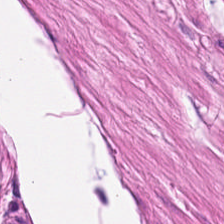Stain: H&E-stained tissue section.
Classification: smooth-muscle tissue.
